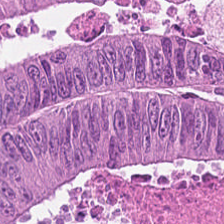This patch shows colorectal adenocarcinoma.
